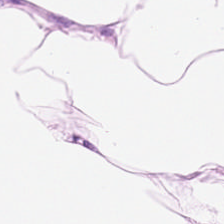Q: What type of tissue is this?
A: It is fat tissue.
